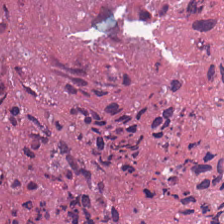H&E; FFPE; 0.5 microns per pixel.
The predominant tissue is debris.
